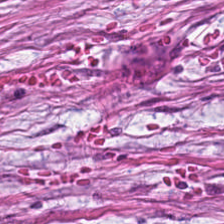H&E stain · 0.5 µm per pixel — Q: What is shown here?
A: The field shows cancer-associated stroma.
